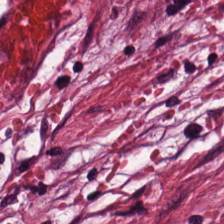Stain: H&E.
Classification: desmoplastic stroma.
